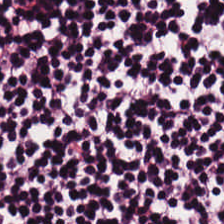H&E.
This patch shows lymphoid infiltrate.
